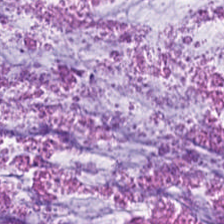Stain: hematoxylin-and-eosin stained section.
Preparation: formalin-fixed paraffin-embedded section.
Acquisition: brightfield microscopy.
Tissue class: extracellular mucin.
